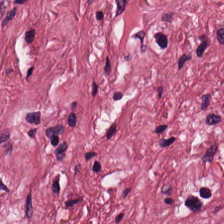Hematoxylin and eosin. The tissue type is tumor-associated stroma.
